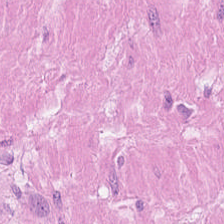This field is smooth-muscle tissue.
